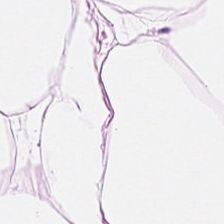Formalin-fixed paraffin-embedded section. H&E stain. The tissue here is adipose.
